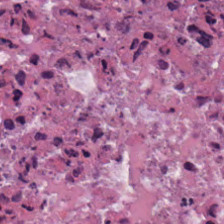H&E. Q: What does this patch show?
A: It is debris.
